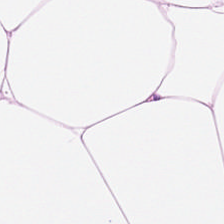Tissue type: adipose.
